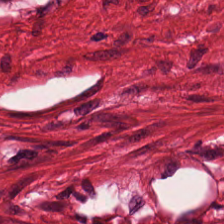H&E-stained tissue section · FFPE tissue section · brightfield microscopy. Showing smooth muscle.
